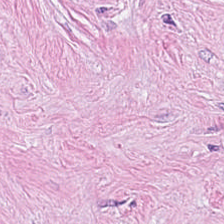H&E.
The predominant tissue is desmoplastic stroma.
